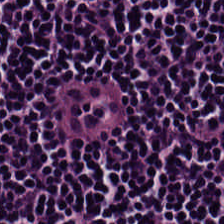Hematoxylin-and-eosin stained section. Formalin-fixed paraffin-embedded section. This patch shows lymphocytes.
